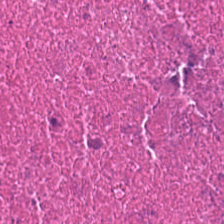H&E stain — Finding — necrotic debris.
